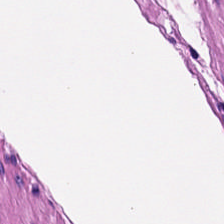FFPE · brightfield microscopy · H&E — Predominantly muscularis.
